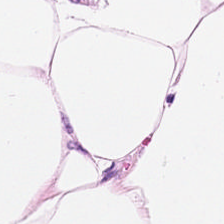Stain: H&E.
Resolution: 0.5 µm/px.
Tissue: adipose tissue.
